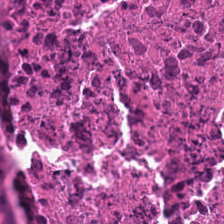H&E-stained tissue section. 224×224 px patch. Tissue class = necrotic debris.
